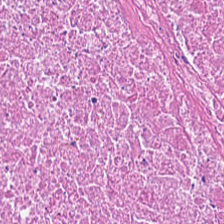Tissue class = debris.
